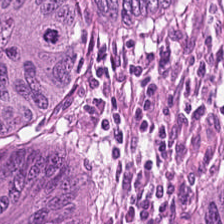Formalin-fixed paraffin-embedded section. H&E — Histology — adenocarcinoma.
